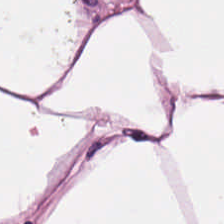FFPE; hematoxylin-and-eosin stained section — This field is adipose.
